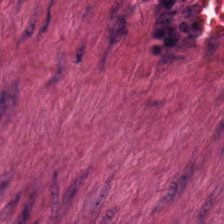H&E — {"tissue_type": "muscularis"}
